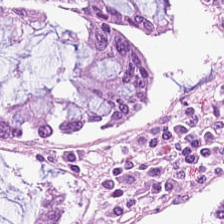H&E-stained tissue section · 224×224 px tile.
The tissue here is normal colon mucosa.
